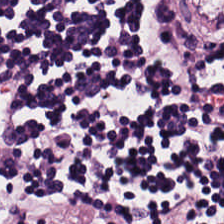H&E-stained tissue section; 20× equivalent magnification; 224×224 px patch.
Predominant tissue — lymphocyte aggregate.
